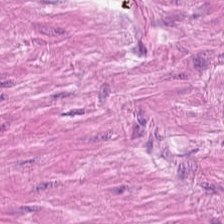Hematoxylin and eosin.
Q: What type of tissue is this?
A: Muscularis.
